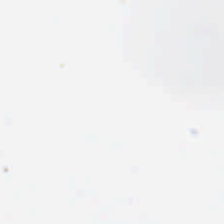Hematoxylin and eosin. Content = background.
